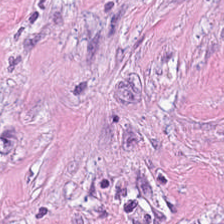224×224 pixel tile · hematoxylin-and-eosin stained section · 0.5 microns per pixel.
Predominantly tumor stroma.
